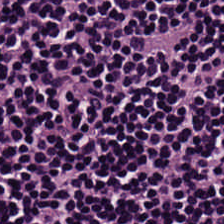0.5 µm per pixel. H&E. Q: What is shown in this field?
A: This is lymphoid infiltrate.
